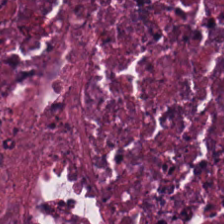Stain: hematoxylin and eosin.
Classification: cellular debris.
